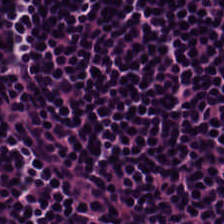Predominantly lymphocytic infiltrate.
